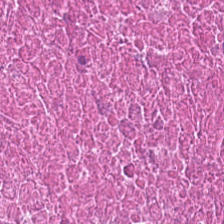H&E.
Q: What is the predominant tissue type?
A: It is cellular debris.
